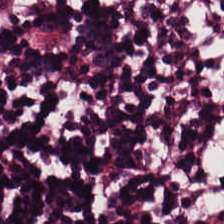H&E-stained tissue section; 0.5 µm per pixel; WSI patch. Tissue class = lymphocytes.
